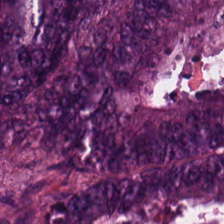Hematoxylin and eosin; 0.5 microns per pixel. Showing colorectal adenocarcinoma.
